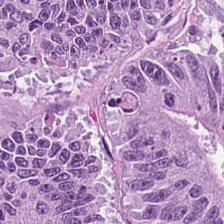The predominant tissue is colorectal adenocarcinoma epithelium.
